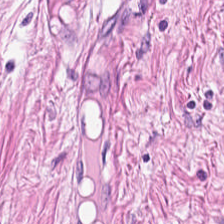Tissue: tumor-associated stroma.
